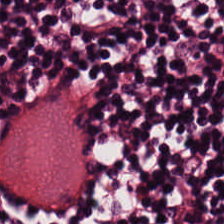H&E-stained tissue section. 224×224 pixel tile. Whole-slide-image patch. Tissue: lymphocytic infiltrate.
